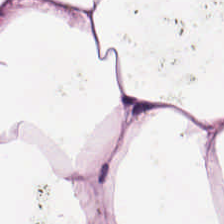H&E-stained tissue section. Adipose.
